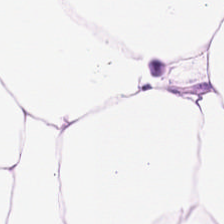H&E; 0.5 microns per pixel — This patch shows adipose tissue.
